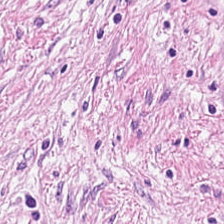Stain: H&E-stained tissue section.
Tile size: 224×224 pixel tile.
Tissue class: tumor stroma.
